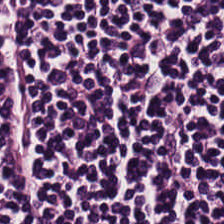Stain: H&E-stained tissue section.
Tissue class: lymphocytes.
